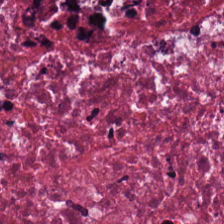Impression → cellular debris.
